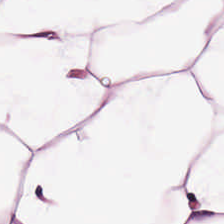Stain: H&E-stained tissue section.
Tissue type: adipocytes.
